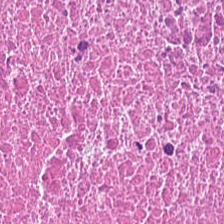H&E-stained tissue section.
Predominant tissue — debris.
